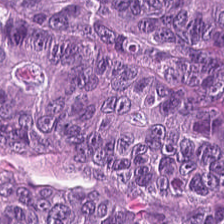Q: What tissue is shown?
A: The field shows adenocarcinoma.
